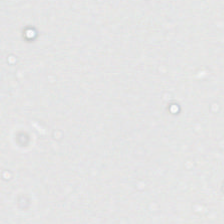H&E-stained tissue section. 0.5 µm per pixel.
Field content: background (no tissue).
